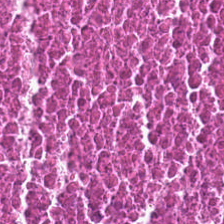224×224 pixel tile. Hematoxylin-and-eosin stained section.
Q: What tissue is shown?
A: It is debris.
